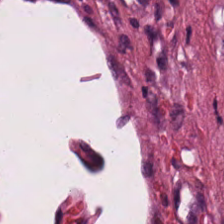Hematoxylin and eosin. 20× equivalent magnification. 224×224 px patch — This field is desmoplastic stroma.
